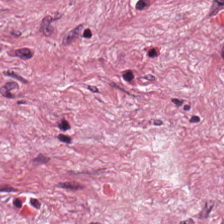H&E — This patch shows cancer-associated stroma.
